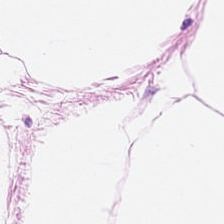H&E stain. {"tissue_type": "adipocytes"}
